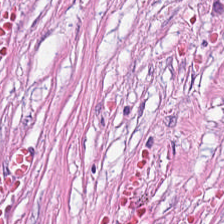0.5 µm/px. H&E-stained tissue section.
Impression — tumor-associated stroma.
